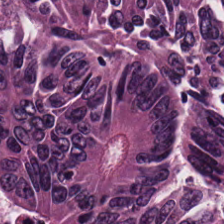H&E-stained tissue section · 20× equivalent magnification.
Q: What does this patch show?
A: It is malignant epithelium.
